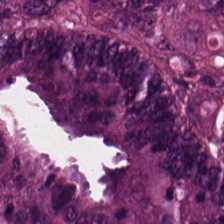Q: What does this patch show?
A: Tumor epithelium.
